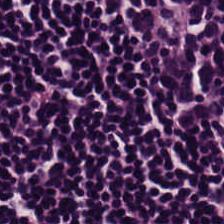Hematoxylin and eosin; whole-slide-image patch. Impression — lymphocytic infiltrate.
